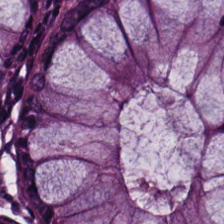0.5 microns per pixel · formalin-fixed paraffin-embedded section · H&E.
Predominant tissue = benign colonic mucosa.
